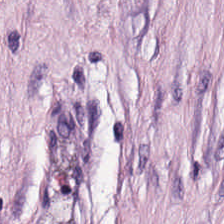Q: Identify the tissue.
A: This is tumor stroma.
